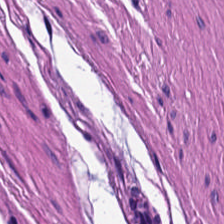This field is smooth muscle.
